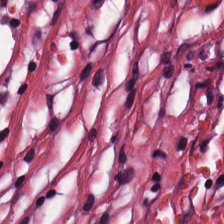H&E-stained tissue section. 224×224 px tile.
Q: Identify the tissue.
A: Tumor-associated stroma.
